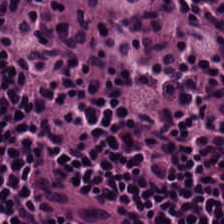Formalin-fixed paraffin-embedded section. H&E.
The predominant tissue is lymphoid infiltrate.
